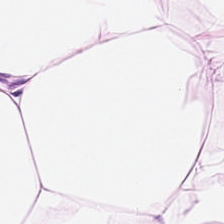Predominantly adipose tissue.
